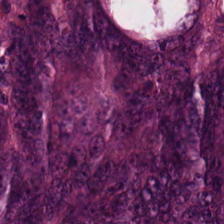H&E — Classification = malignant epithelium.
